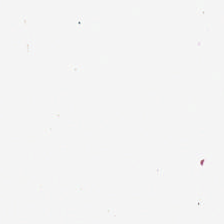224×224 pixel tile · H&E-stained tissue section. Field content — background (no tissue).
